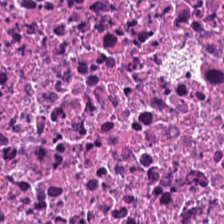H&E; brightfield — Tissue type — debris.
